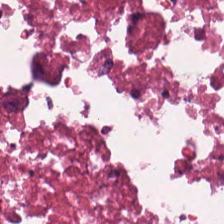Hematoxylin and eosin — Showing necrotic debris.
